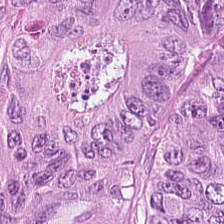H&E stain · 224×224 px patch — Q: Identify the tissue.
A: Adenocarcinoma.
